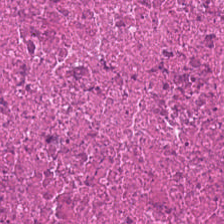Stain: hematoxylin and eosin.
Tissue class: necrotic debris.
